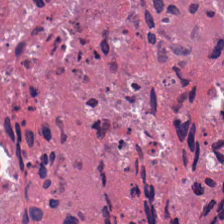Finding → necrotic debris.
